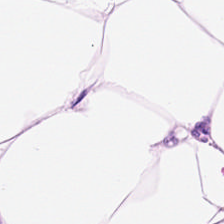Tissue = fat tissue.
